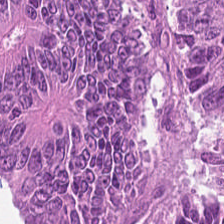Brightfield · H&E.
Predominantly tumor epithelium.
